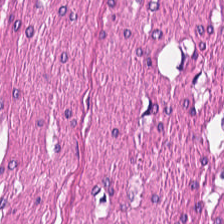Hematoxylin and eosin.
This patch shows smooth-muscle tissue.
